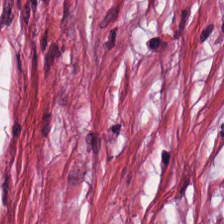Finding → cancer-associated stroma.
